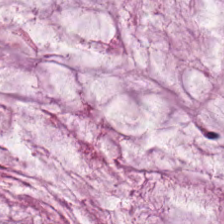Brightfield. 0.5 microns per pixel. H&E stain — The tissue here is extracellular mucin.
